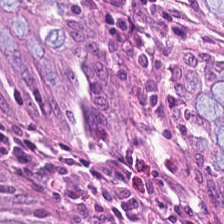The predominant tissue is non-neoplastic colon mucosa.
